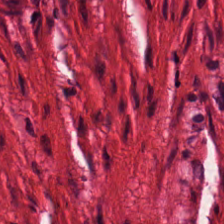H&E stain. Tissue: smooth muscle.
